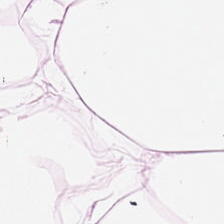0.5 microns per pixel · H&E stain — Predominantly fat tissue.
